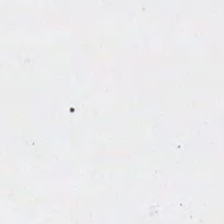H&E — This patch shows background (no tissue).
